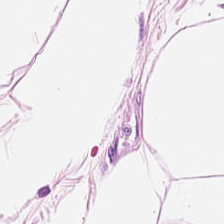Hematoxylin-and-eosin section: adipose tissue.
